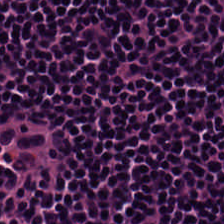Hematoxylin and eosin — Q: What does this patch show?
A: Lymphoid infiltrate.
